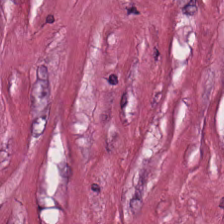224×224 pixel tile; hematoxylin-and-eosin stained section.
Showing tumor-associated stroma.
